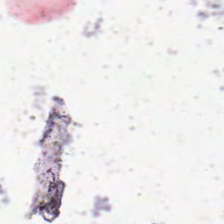Hematoxylin-and-eosin stained section.
Background — no tissue in this field.
